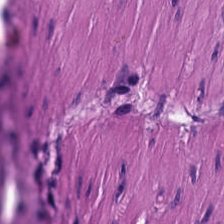H&E stain.
{"tissue_type": "muscularis"}
